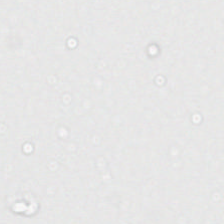H&E stain.
{"content": "background (no tissue)"}
